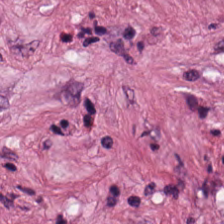Q: What type of tissue is this?
A: The field shows tumor-associated stroma.
